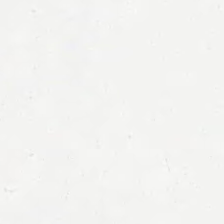224×224 px tile; H&E stain — The classification is background (no tissue).
